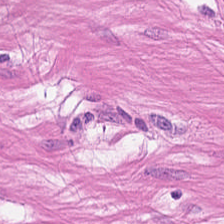Stain: H&E-stained tissue section.
Resolution: 20× equivalent magnification.
Classification: smooth-muscle tissue.
